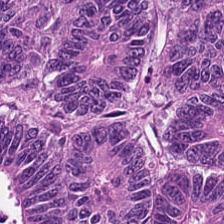Predominantly adenocarcinoma.
